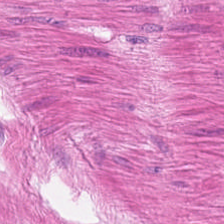FFPE. 224×224 px tile. H&E stain.
Q: What is the predominant tissue type?
A: Smooth-muscle tissue.
